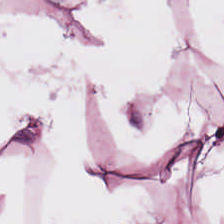Hematoxylin-and-eosin stained section.
Q: What tissue is shown?
A: This is adipocytes.
